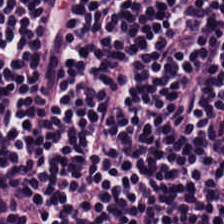Stain: H&E stain.
Tissue: lymphocytic infiltrate.
